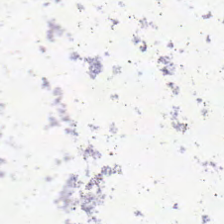H&E. Finding — background (no tissue).
